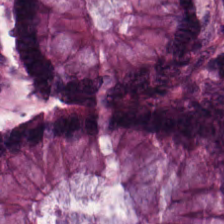FFPE. 224×224 px tile. H&E-stained tissue section — The predominant tissue is normal colonic mucosa.
